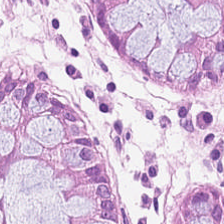Stain: hematoxylin and eosin.
Classification: benign colonic mucosa.
